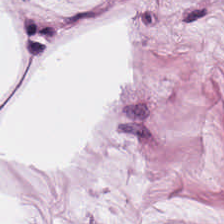H&E-stained tissue section.
Finding — adipocytes.
